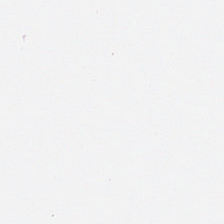Hematoxylin and eosin. Content = empty background.
